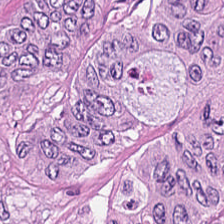H&E patch showing adenocarcinoma.
